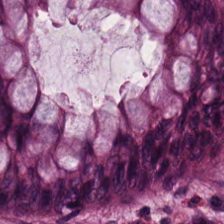Brightfield microscopy · H&E · 224×224 px tile.
Impression → non-neoplastic colon mucosa.
